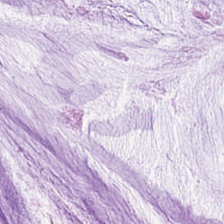The predominant tissue is mucus.
